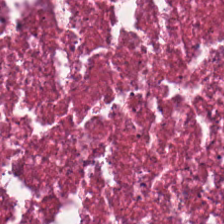Stain: H&E-stained tissue section.
Preparation: FFPE.
Tile size: 224×224 px tile.
Classification: cellular debris.
